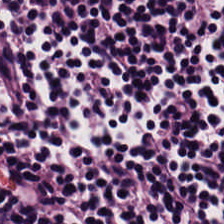H&E stain — Predominantly lymphocytic infiltrate.
